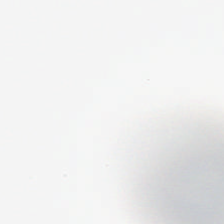No tissue present; background only.
